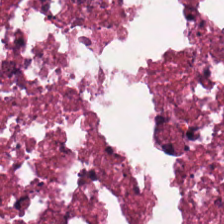Hematoxylin-and-eosin stained section — {"tissue_type": "debris"}
